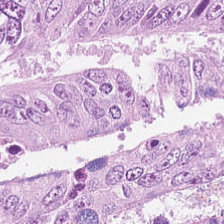H&E stain.
Impression — colorectal adenocarcinoma epithelium.
